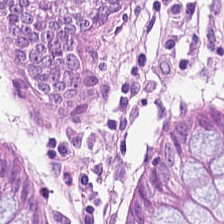Hematoxylin-and-eosin stained section.
The tissue is non-neoplastic colon mucosa.
